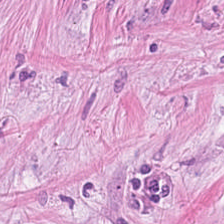WSI patch. Hematoxylin-and-eosin stained section. 0.5 µm per pixel — The classification is cancer-associated stroma.
